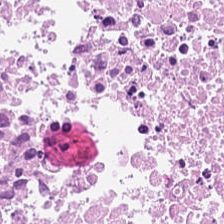224×224 px patch. H&E stain. Q: Classify this patch.
A: The field shows debris.
